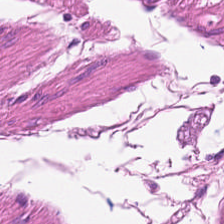H&E — muscularis.
